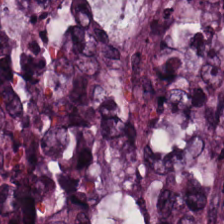Tissue — adenocarcinoma.
